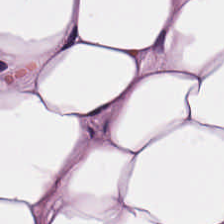The tissue class is adipose.
